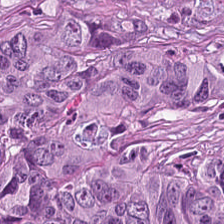H&E stain; formalin-fixed paraffin-embedded section.
Tissue class = colorectal adenocarcinoma epithelium.
